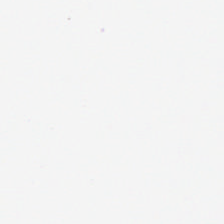Finding → no tissue.
